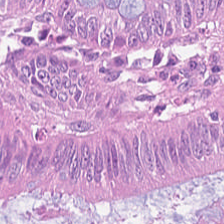H&E stain · whole-slide-image patch — Predominant tissue = colorectal adenocarcinoma.
